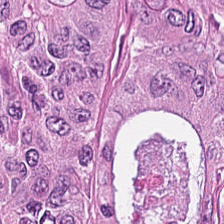20× equivalent magnification. H&E-stained tissue section.
The tissue is tumor epithelium.
